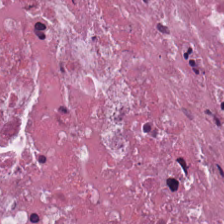H&E-stained tissue section showing cellular debris.
